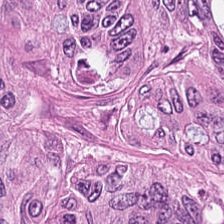H&E stain. Showing tumor epithelium.
